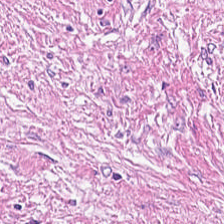Hematoxylin-and-eosin section: cancer-associated stroma.
